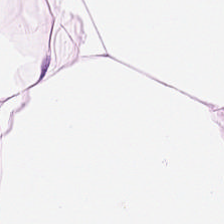The predominant tissue is adipocytes.
